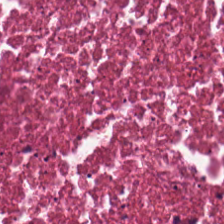Brightfield microscopy · hematoxylin-and-eosin stained section. The tissue class is cellular debris.
